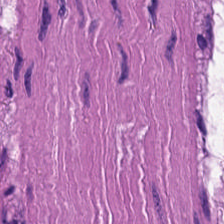Tissue class = smooth-muscle tissue.
